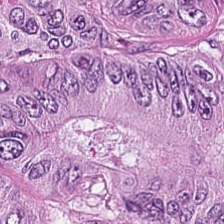FFPE · WSI patch · H&E-stained tissue section.
Showing malignant epithelium.
